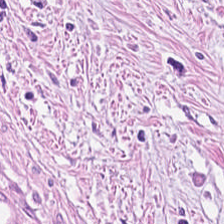This field is tumor stroma.
